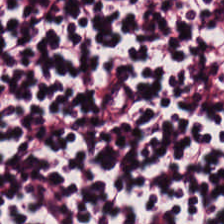224×224 px patch. Hematoxylin-and-eosin stained section.
Finding → lymphocytes.
